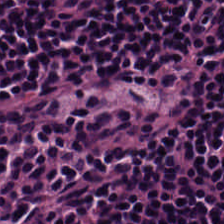H&E stain — Predominant tissue: lymphocyte aggregate.
